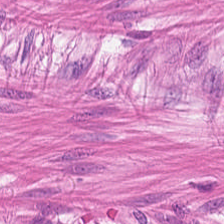FFPE tissue section. Brightfield. H&E stain — Q: What tissue type is shown here?
A: It is smooth muscle.
